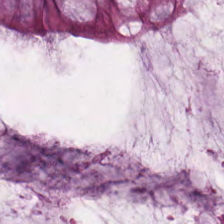Hematoxylin and eosin. Normal colon mucosa.
